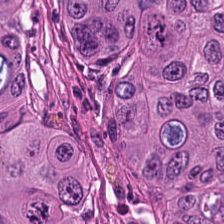Finding → tumor epithelium.
